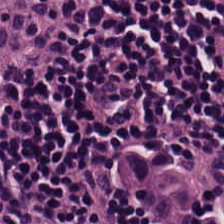Hematoxylin and eosin. The predominant tissue is lymphoid infiltrate.
